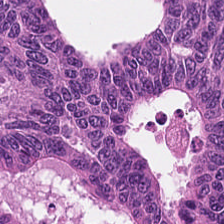FFPE tissue section · hematoxylin and eosin — Q: What is shown here?
A: Tumor epithelium.
